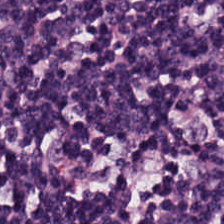{"tissue_type": "lymphocytic infiltrate"}
